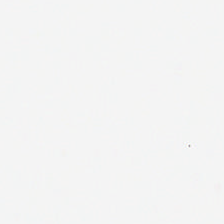H&E-stained tissue section. FFPE tissue section — Impression — empty background.
